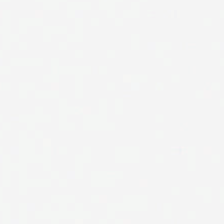H&E.
Q: What is shown here?
A: Background.
